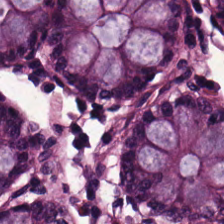Stain: hematoxylin and eosin.
Tile size: 224×224 px patch.
Preparation: FFPE.
Predominant tissue: normal colonic mucosa.
